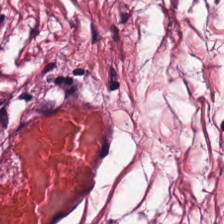H&E stain — Showing cancer-associated stroma.
